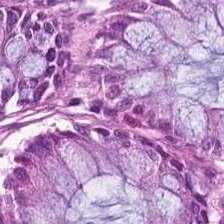H&E stain — Classification: benign colonic mucosa.
